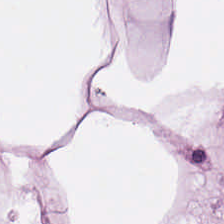This patch shows adipocytes.
